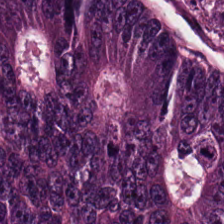224×224 px tile. H&E. Q: What is shown in this field?
A: Adenocarcinoma.
